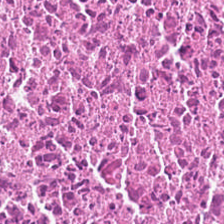H&E. Formalin-fixed paraffin-embedded section. Predominant tissue = cellular debris.
